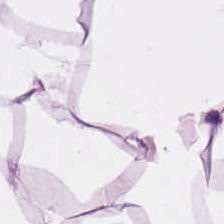H&E — Impression → adipose tissue.
